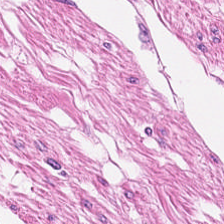H&E stain.
Predominantly smooth muscle.
